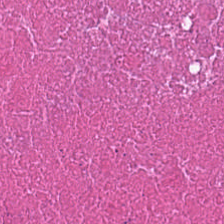Hematoxylin and eosin; 224×224 px patch; brightfield microscopy. Predominantly cellular debris.
